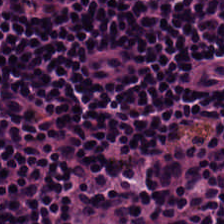Hematoxylin-and-eosin section: lymphocytes.
